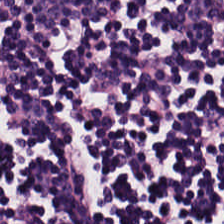Hematoxylin-and-eosin stained section · FFPE · 0.5 µm per pixel — {"tissue_type": "lymphocyte aggregate"}
